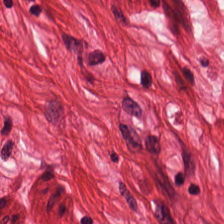FFPE tissue section; 224×224 pixel tile; H&E stain.
Impression — smooth-muscle tissue.
